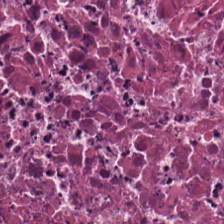H&E-stained tissue section. Tissue = cellular debris.
